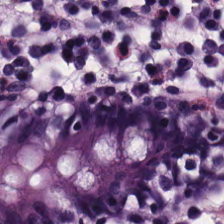H&E-stained tissue section · WSI patch. Q: Classify this patch.
A: Normal colonic mucosa.
